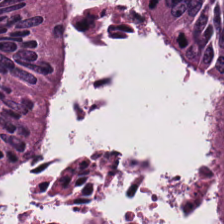0.5 µm/px; H&E-stained tissue section. Tissue — adenocarcinoma.
